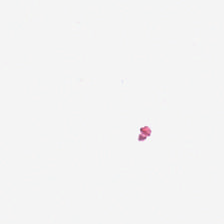0.5 microns per pixel; H&E. Q: What is shown in this field?
A: It is background (no tissue).
